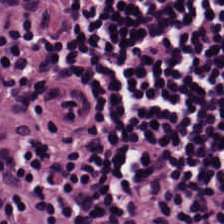Histology → lymphocytes.
